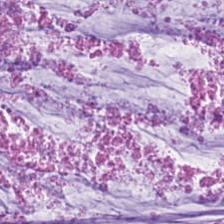Showing mucus.
